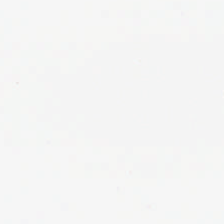Hematoxylin-and-eosin stained section — Background.
